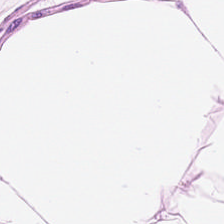H&E stain.
The tissue here is adipose.
